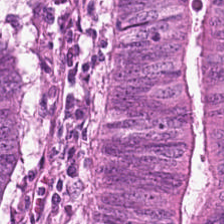Hematoxylin-and-eosin stained section — This field is adenocarcinoma.
